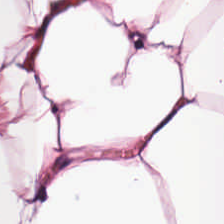Q: What type of tissue is this?
A: It is adipocytes.
